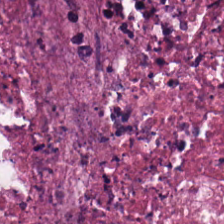H&E-stained tissue section.
Q: What tissue type is shown here?
A: This is necrotic debris.
